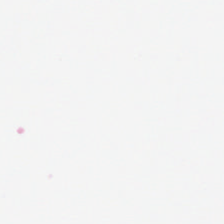0.5 microns per pixel · H&E stain · whole-slide-image patch — Q: What is shown in this field?
A: This is background.
